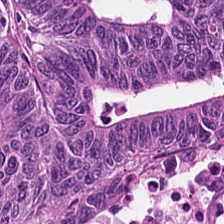H&E-stained tissue section.
This patch shows malignant epithelium.
